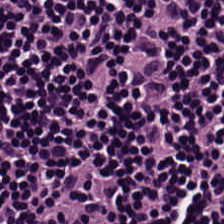The predominant tissue is lymphocytic infiltrate.
